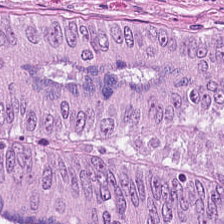Tissue class = malignant epithelium.
